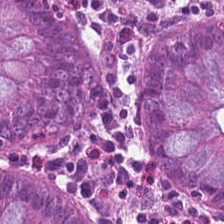Predominant tissue = benign colonic mucosa.
